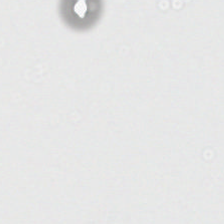H&E-stained tissue section — Background.
